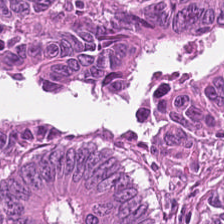FFPE tissue section · hematoxylin and eosin — Finding → tumor epithelium.
